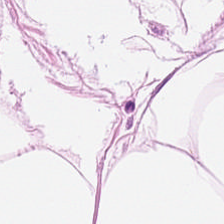FFPE tissue section · H&E-stained tissue section · 0.5 µm/px — Tissue = fat tissue.
